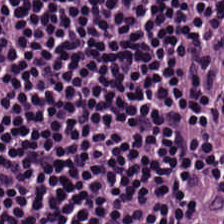H&E stain.
Q: Identify the tissue.
A: This is lymphocytes.
